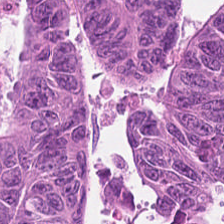H&E.
Q: What does this patch show?
A: Malignant epithelium.
